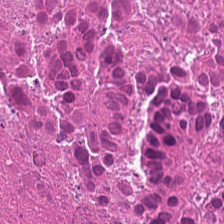H&E stain — Q: What tissue is shown?
A: This is necrotic debris.
